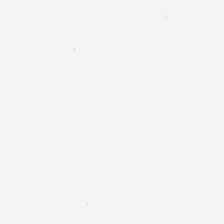H&E stain.
This field is background (no tissue).
